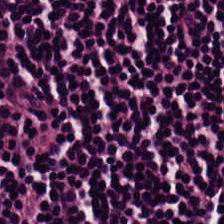Hematoxylin-and-eosin stained section.
Showing lymphocytic infiltrate.
